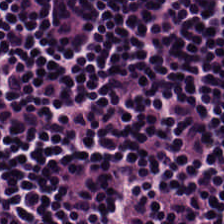H&E. Brightfield — Tissue class — lymphocytic infiltrate.
